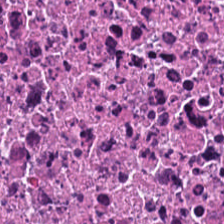224×224 pixel tile; H&E-stained tissue section — Predominant tissue — cellular debris.
